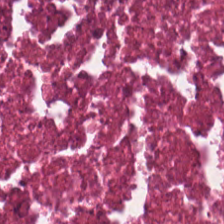Brightfield. Hematoxylin and eosin.
Q: What is shown in this field?
A: This is debris.
